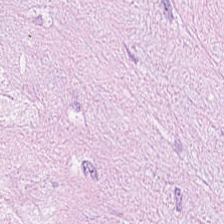H&E patch showing cancer-associated stroma.
